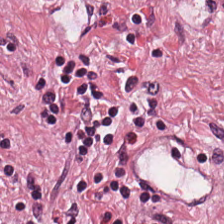Stain: H&E.
Classification: tumor-associated stroma.
